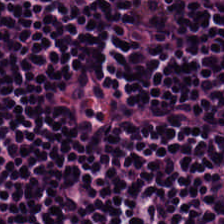Whole-slide-image patch; hematoxylin and eosin — This field is lymphocytic infiltrate.
